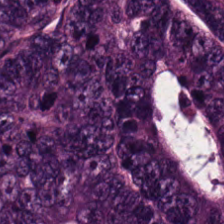Hematoxylin and eosin — Predominantly adenocarcinoma.
